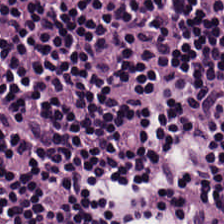FFPE; H&E stain. Tissue — lymphocytic infiltrate.
